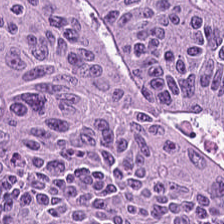H&E. This field is colorectal adenocarcinoma.
